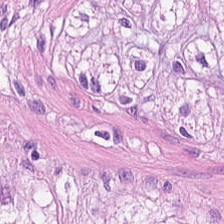Classification — muscularis.
